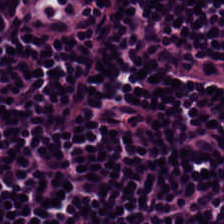Hematoxylin-and-eosin stained section; 0.5 microns per pixel. Tissue class — lymphocytic infiltrate.
